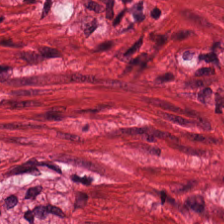Histology → smooth muscle.
